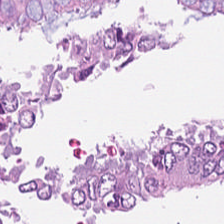H&E stain. 0.5 microns per pixel. Q: What tissue is shown?
A: This is adenocarcinoma.
